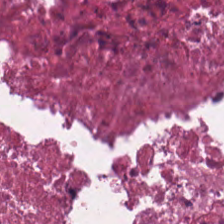Hematoxylin and eosin.
Classification = debris.
